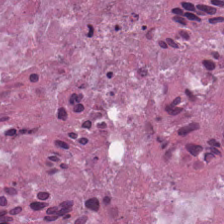FFPE tissue section. H&E-stained tissue section. Impression → debris.
